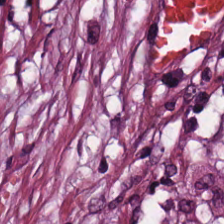H&E-stained tissue section. This field is desmoplastic stroma.
